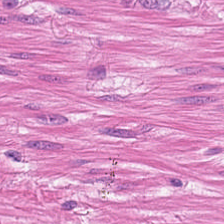Stain: H&E-stained tissue section.
Tissue type: muscularis.
